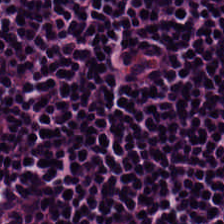Hematoxylin and eosin — Tissue class — lymphoid infiltrate.
